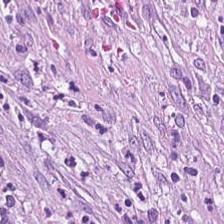Q: What type of tissue is this?
A: It is cancer-associated stroma.
